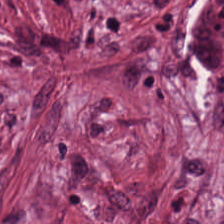{"tissue_type": "desmoplastic stroma"}
